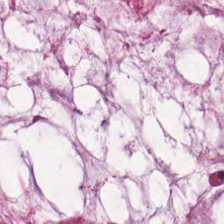Hematoxylin-and-eosin stained section; 0.5 microns per pixel; 224×224 px tile.
The predominant tissue is mucin.
